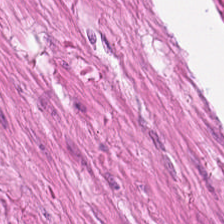H&E. Q: What is the predominant tissue type?
A: The field shows smooth-muscle tissue.
